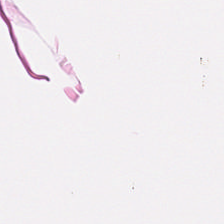H&E-stained tissue section. Q: Identify the tissue.
A: It is muscularis.
